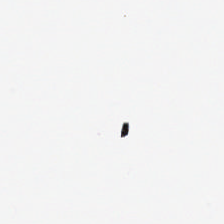Classification = background (no tissue).
